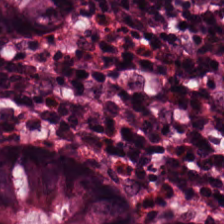Brightfield. H&E stain. FFPE tissue section.
Showing benign colonic mucosa.
